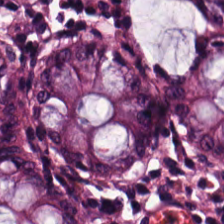224×224 pixel tile · H&E stain · FFPE tissue section — Benign colonic mucosa.
